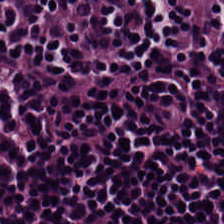Hematoxylin-and-eosin section: lymphocyte aggregate.
